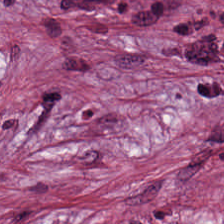Predominantly tumor stroma.
